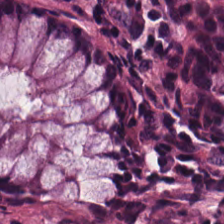H&E.
The tissue here is non-neoplastic colon mucosa.
